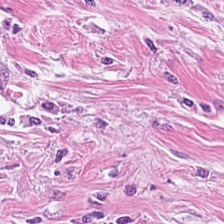20× equivalent magnification; H&E stain — Predominant tissue: desmoplastic stroma.
